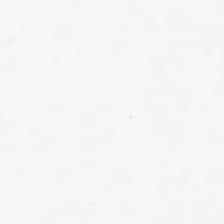H&E stain. 0.5 µm/px. FFPE tissue section. Content — empty background.
